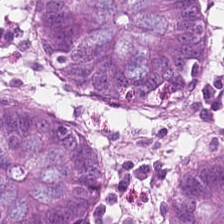Tissue type = normal colon mucosa.
